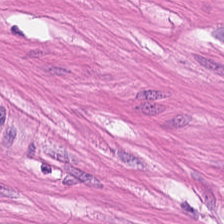Stain: H&E stain.
Tissue: smooth muscle.
